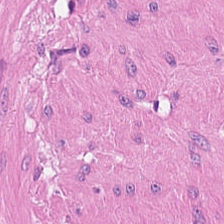Hematoxylin and eosin.
The predominant tissue is muscularis.
